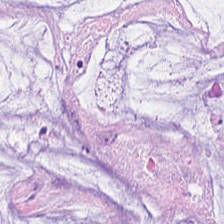0.5 µm/px; hematoxylin-and-eosin stained section.
Showing mucus.
